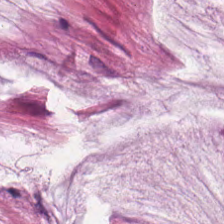H&E stain. Q: What is the predominant tissue type?
A: Extracellular mucin.
